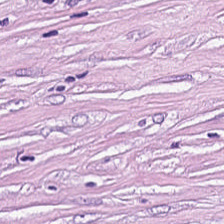FFPE tissue section · 20× equivalent magnification · H&E-stained tissue section. Histology → cancer-associated stroma.
